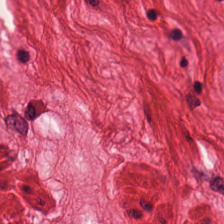WSI patch · H&E — The predominant tissue is muscularis.
